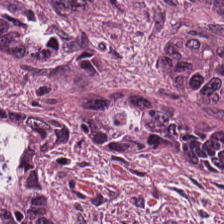WSI patch. H&E. This field is colorectal adenocarcinoma.
